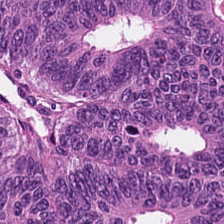FFPE tissue section · 0.5 microns per pixel · hematoxylin and eosin. This patch shows colorectal adenocarcinoma epithelium.
